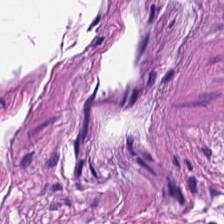Formalin-fixed paraffin-embedded section · 224×224 px tile · H&E-stained tissue section.
Predominantly smooth muscle.
